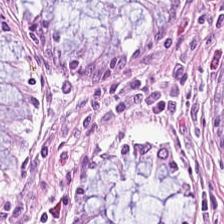Hematoxylin-and-eosin stained section; FFPE tissue section; 0.5 microns per pixel — The tissue here is benign colonic mucosa.
